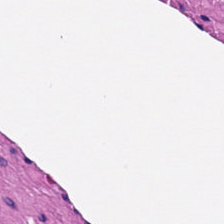Q: What is the predominant tissue type?
A: This is muscularis.
